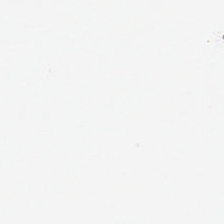H&E — {"content": "background"}
